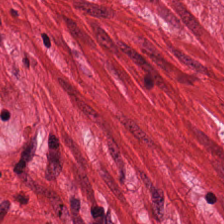224×224 px tile; H&E; 20× equivalent magnification — Showing smooth-muscle tissue.
